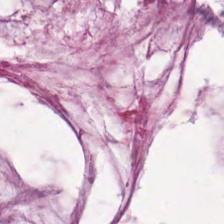The classification is extracellular mucin.
